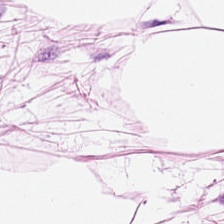Stain: H&E.
Resolution: 0.5 microns per pixel.
Tissue: adipose tissue.
